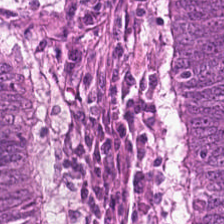Tissue — adenocarcinoma.
